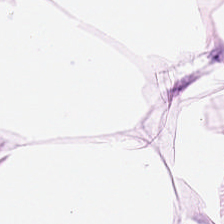Hematoxylin-and-eosin stained section.
Histology → adipocytes.
